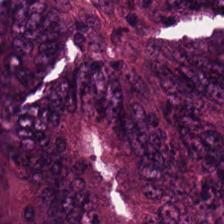H&E stain — Tissue — tumor epithelium.
